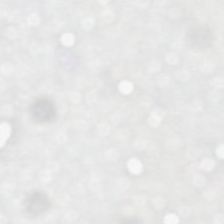H&E-stained tissue section; 224×224 px tile; brightfield — The classification is background.
